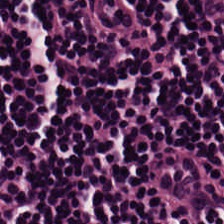WSI patch. 0.5 microns per pixel. H&E.
The tissue here is lymphocyte aggregate.
